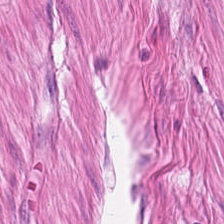{"tissue_type": "smooth-muscle tissue"}
